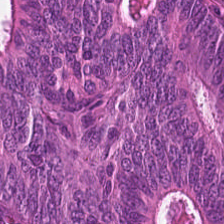Brightfield microscopy. H&E — Q: Identify the tissue.
A: It is colorectal adenocarcinoma.
